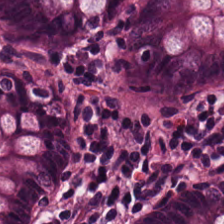Predominant tissue = non-neoplastic colon mucosa.
